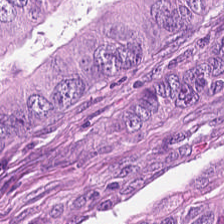H&E; 224×224 px tile; brightfield.
The predominant tissue is colorectal adenocarcinoma.
